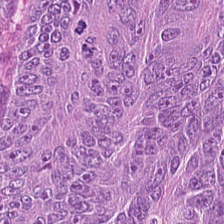WSI patch; H&E stain — Tumor epithelium.
